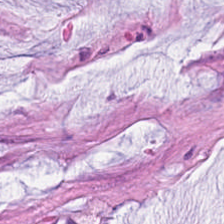H&E — The classification is extracellular mucin.
